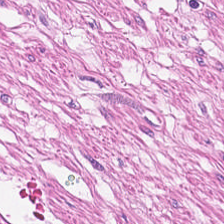20× equivalent magnification; hematoxylin-and-eosin stained section; brightfield microscopy — This patch shows smooth-muscle tissue.
